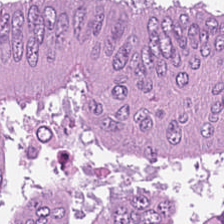Whole-slide-image patch; 0.5 microns per pixel; H&E stain. Tissue type: colorectal adenocarcinoma.
